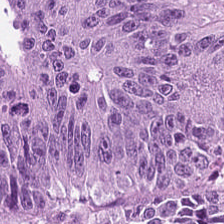H&E patch showing malignant epithelium.
